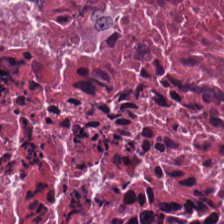Hematoxylin and eosin — Q: Classify this patch.
A: The field shows debris.
